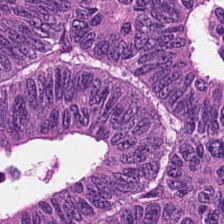Brightfield microscopy. H&E-stained tissue section. Formalin-fixed paraffin-embedded section. Q: What tissue type is shown here?
A: This is colorectal adenocarcinoma.
